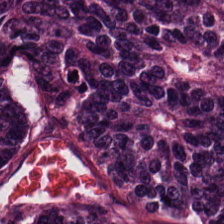Hematoxylin and eosin. Q: What does this patch show?
A: Malignant epithelium.
